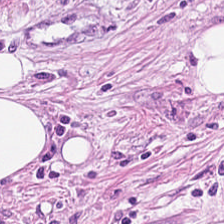Q: What is the predominant tissue type?
A: It is cancer-associated stroma.
